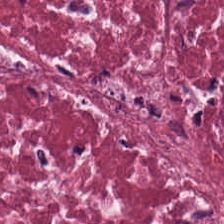0.5 µm/px · WSI patch · H&E-stained tissue section — Finding — cancer-associated stroma.
